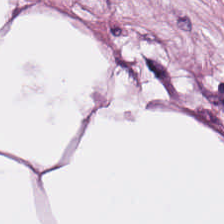Hematoxylin-and-eosin stained section.
Adipocytes.
